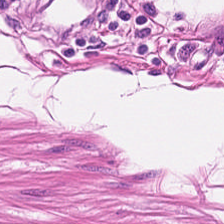H&E.
Classification = muscularis.
